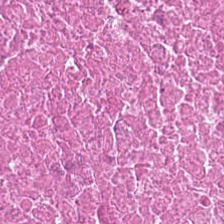Stain: H&E stain.
Tissue: necrotic debris.
